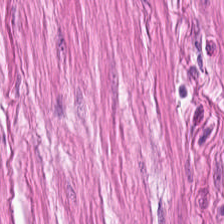H&E-stained tissue section.
Showing muscularis.
